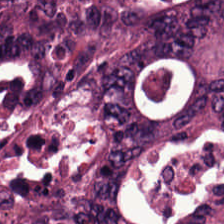Classification — colorectal adenocarcinoma.
